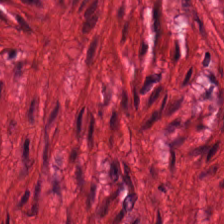Stain: hematoxylin and eosin.
Resolution: 20× equivalent magnification.
Preparation: FFPE.
Tissue class: smooth muscle.
